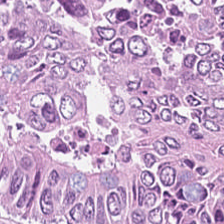224×224 px tile; brightfield microscopy; hematoxylin and eosin. The predominant tissue is adenocarcinoma.
